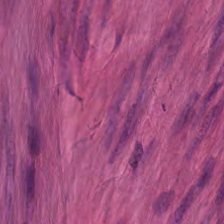Hematoxylin-and-eosin stained section. Impression — muscularis.
